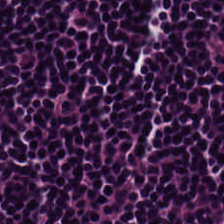The tissue here is lymphocytes.
